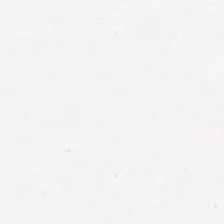H&E.
No tissue present; background only.
